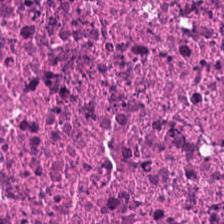H&E stain. Tissue type — necrotic debris.
